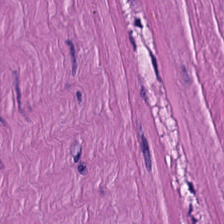H&E-stained tissue section. Predominant tissue: smooth-muscle tissue.
